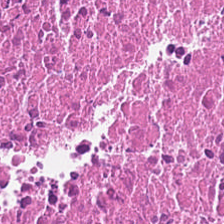H&E stain. Brightfield microscopy. Q: Identify the tissue.
A: The field shows necrotic debris.
